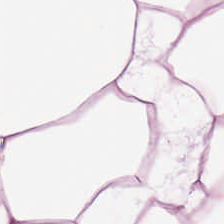H&E; 224×224 pixel tile; 0.5 microns per pixel.
Tissue class = adipose.
